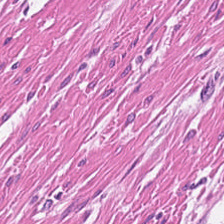Classification: smooth-muscle tissue.
